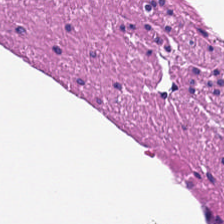FFPE. H&E stain.
The predominant tissue is smooth muscle.
